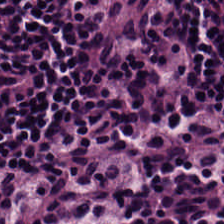H&E. FFPE tissue section. The tissue here is lymphocytes.
